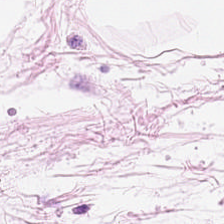224×224 pixel tile. H&E stain.
Histology → fat tissue.
